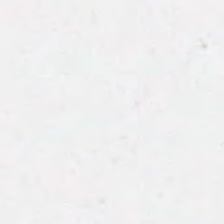H&E · formalin-fixed paraffin-embedded section — The content is no tissue.
